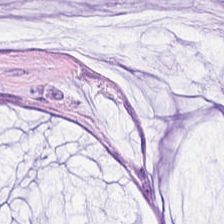Hematoxylin and eosin.
The tissue is mucin.
